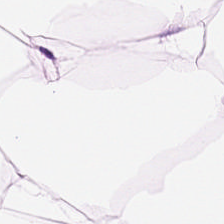H&E-stained tissue section. Brightfield — Tissue type: fat tissue.
